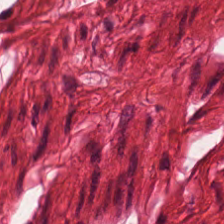Predominant tissue: smooth muscle.
